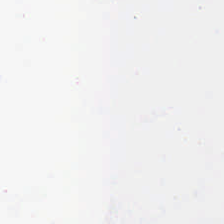Hematoxylin and eosin; 224×224 px patch.
Classification = background (no tissue).
